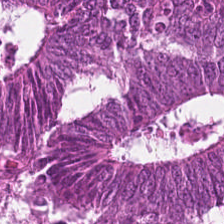Predominant tissue = colorectal adenocarcinoma epithelium.
